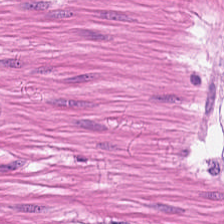Hematoxylin-and-eosin stained section.
Predominantly smooth muscle.
